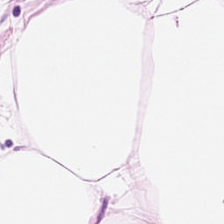Whole-slide-image patch; H&E stain.
The tissue is adipose.
